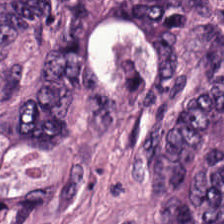H&E stain.
Tissue type — colorectal adenocarcinoma.
